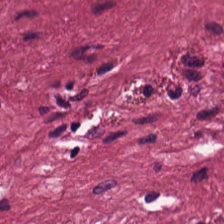20× equivalent magnification. Hematoxylin-and-eosin stained section.
Showing cancer-associated stroma.
